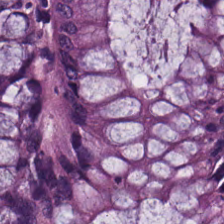H&E-stained tissue section. Brightfield — Classification — normal colonic mucosa.
